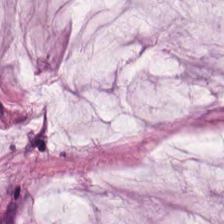H&E — The tissue is mucin.
